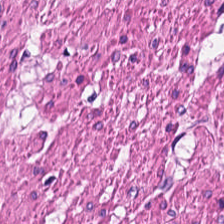Stain: H&E.
Tissue class: smooth muscle.
